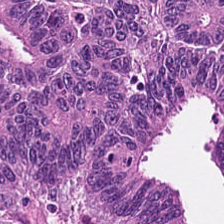Hematoxylin and eosin. 224×224 px tile.
The predominant tissue is tumor epithelium.
